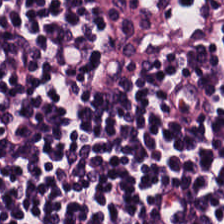Formalin-fixed paraffin-embedded section · H&E · brightfield microscopy — Predominant tissue = lymphocytes.
